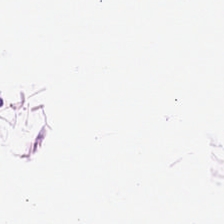H&E. Formalin-fixed paraffin-embedded section.
Adipose.
